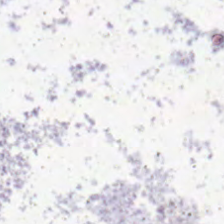Hematoxylin-and-eosin stained section · FFPE. Histology → no tissue.
